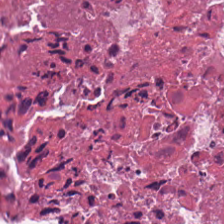0.5 µm per pixel · H&E-stained tissue section · whole-slide-image patch. Q: What is shown here?
A: This is necrotic debris.
